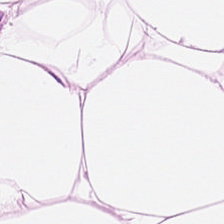FFPE; hematoxylin-and-eosin stained section — {"tissue_type": "fat tissue"}
